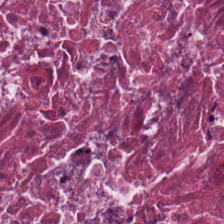Stain: H&E stain.
Tile size: 224×224 px tile.
Acquisition: whole-slide-image patch.
Tissue: necrotic debris.
